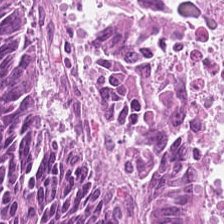Brightfield; hematoxylin-and-eosin stained section. Predominant tissue = tumor epithelium.
